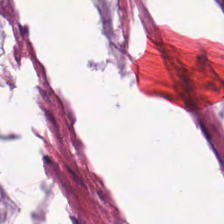Hematoxylin-and-eosin stained section; 224×224 px patch.
Tissue: mucus.
